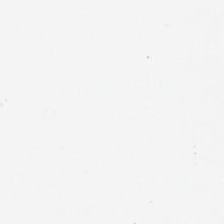H&E-stained tissue section. The field content is no tissue.
